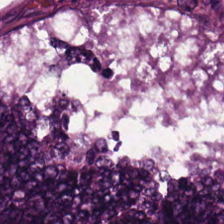Q: What tissue type is shown here?
A: This is malignant epithelium.
